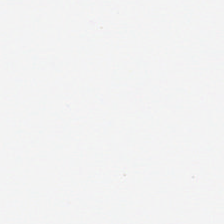Formalin-fixed paraffin-embedded section; H&E stain. Background (no tissue).
